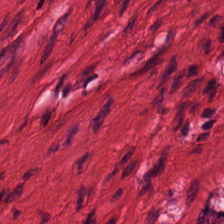224×224 pixel tile; hematoxylin and eosin — Predominant tissue = smooth-muscle tissue.
